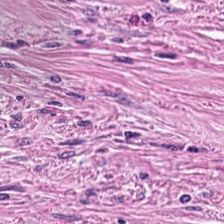H&E stain · 20× equivalent magnification.
Q: Identify the tissue.
A: This is tumor-associated stroma.
